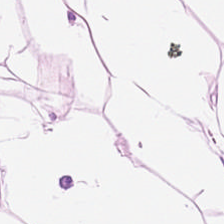Stain: H&E.
Tissue type: adipose tissue.
